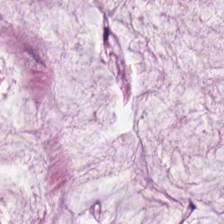Stain: hematoxylin-and-eosin stained section.
Predominant tissue: mucus.
